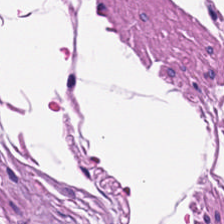H&E-stained tissue section. Q: What does this patch show?
A: Smooth muscle.
